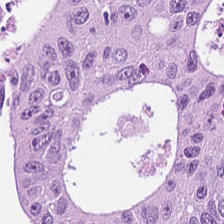H&E stain.
This patch shows tumor epithelium.
